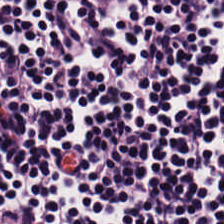Stain: H&E-stained tissue section.
Classification: lymphoid infiltrate.
